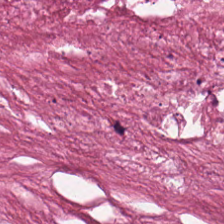The predominant tissue is debris.
